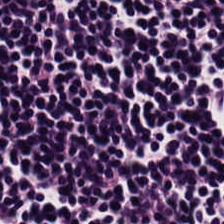0.5 microns per pixel. WSI patch. H&E-stained tissue section — Q: What type of tissue is this?
A: It is lymphocyte aggregate.
